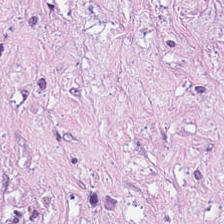H&E-stained tissue section; 224×224 px patch; 0.5 µm/px. Classification: tumor-associated stroma.
